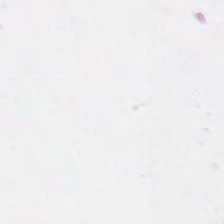FFPE tissue section. H&E stain. Background — no tissue in this field.
